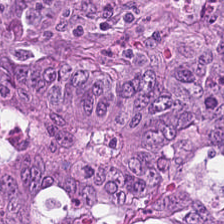H&E. The tissue is colorectal adenocarcinoma.
